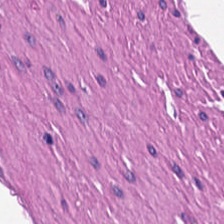Predominant tissue = muscularis.
